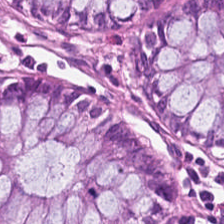Whole-slide-image patch. Formalin-fixed paraffin-embedded section. H&E. Impression — benign colonic mucosa.
